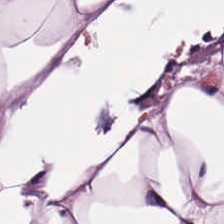Hematoxylin and eosin.
Adipose tissue.
